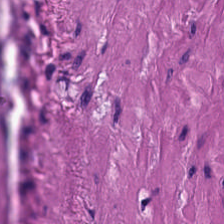Predominant tissue = smooth muscle.
